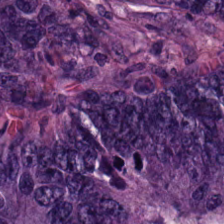Showing adenocarcinoma.
